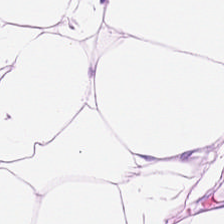Hematoxylin and eosin — {"tissue_type": "adipocytes"}
